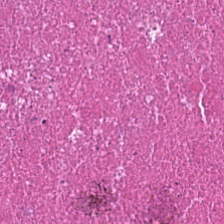H&E — Classification: cellular debris.
